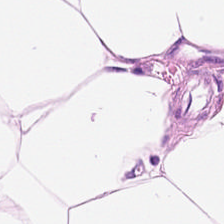Predominantly fat tissue.
